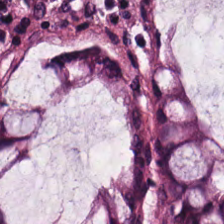H&E — non-neoplastic colon mucosa.
